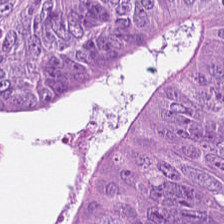Hematoxylin-and-eosin stained section.
This patch shows malignant epithelium.
